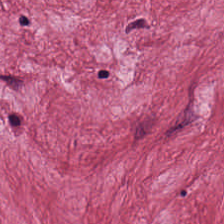0.5 µm per pixel; H&E-stained tissue section — Impression → cancer-associated stroma.
